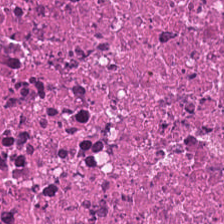H&E stain.
Q: What is shown here?
A: This is debris.
